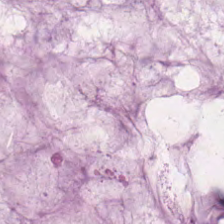H&E — This field is extracellular mucin.
